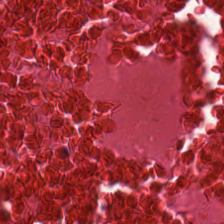0.5 microns per pixel · hematoxylin and eosin. Histology → necrotic debris.
